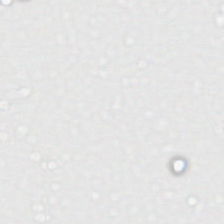Hematoxylin-and-eosin stained section; formalin-fixed paraffin-embedded section. Field content — no tissue.
